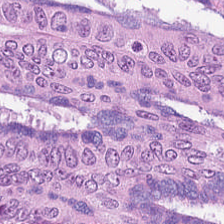Hematoxylin-and-eosin stained section. This field is colorectal adenocarcinoma epithelium.
